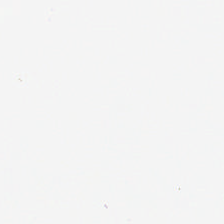H&E stain — Empty field — empty background.
